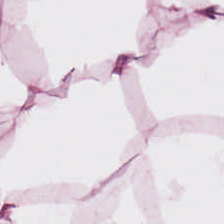The tissue is fat tissue.
